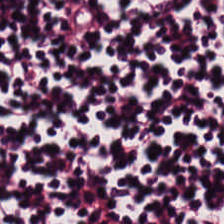The tissue here is lymphocyte aggregate.
